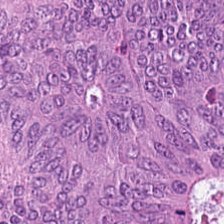H&E · brightfield. The predominant tissue is malignant epithelium.
